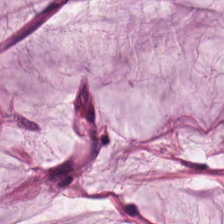H&E. 20× equivalent magnification. FFPE tissue section — Tissue = extracellular mucin.
